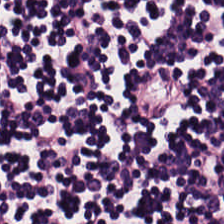0.5 µm/px; hematoxylin and eosin.
Lymphocytic infiltrate.
